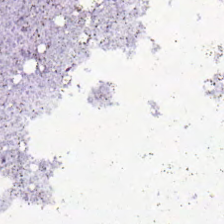H&E-stained tissue section. Empty background.
